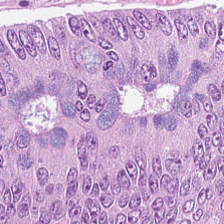H&E-stained tissue section. 224×224 px patch. FFPE.
Tissue type = colorectal adenocarcinoma epithelium.
